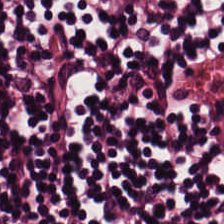Impression → lymphocytes.
